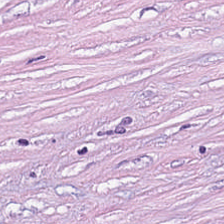Whole-slide-image patch; formalin-fixed paraffin-embedded section; H&E-stained tissue section. Predominant tissue: tumor-associated stroma.
